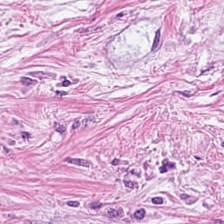{"tissue_type": "tumor-associated stroma"}
